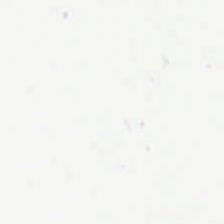Histology — background (no tissue).
